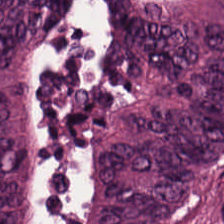Stain: hematoxylin-and-eosin stained section.
Acquisition: whole-slide-image patch.
Resolution: 20× equivalent magnification.
Tissue: colorectal adenocarcinoma.
